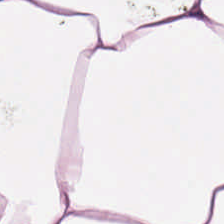H&E-stained section; the field shows adipose tissue.
